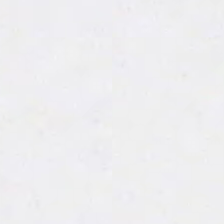0.5 µm/px · hematoxylin-and-eosin stained section. This patch shows background.
